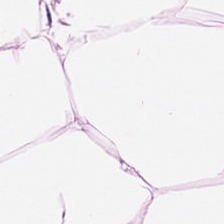H&E · brightfield — Tissue type = fat tissue.
